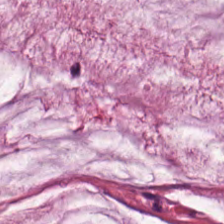Brightfield; H&E-stained tissue section; 224×224 px tile.
{"tissue_type": "mucin"}
